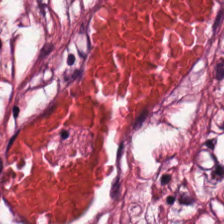H&E stain — Q: Classify this patch.
A: It is tumor-associated stroma.
